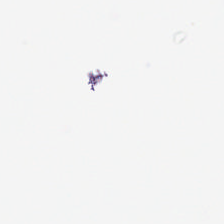H&E. The field content is empty background.
